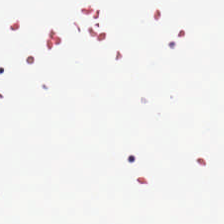Hematoxylin and eosin · 224×224 pixel tile · brightfield microscopy — Background — no tissue in this field.
